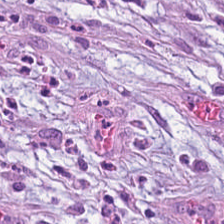The tissue class is tumor stroma.
